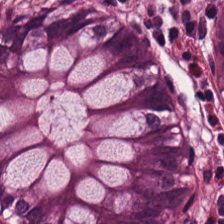Whole-slide-image patch. H&E stain. Predominant tissue = benign colonic mucosa.
